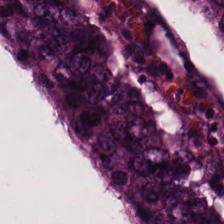H&E · whole-slide-image patch. Finding — colorectal adenocarcinoma epithelium.
